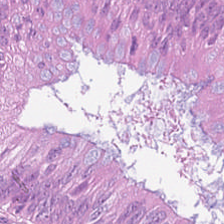Stain: hematoxylin-and-eosin stained section.
Classification: adenocarcinoma.
